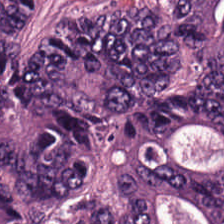This field is adenocarcinoma.
